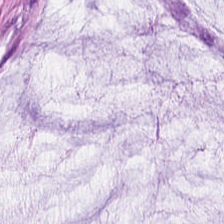224×224 px patch. H&E-stained tissue section. Brightfield microscopy. Histology — mucin.
